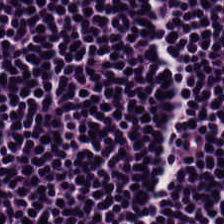Hematoxylin and eosin · formalin-fixed paraffin-embedded section.
The tissue is lymphocytes.
